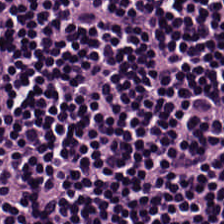Hematoxylin and eosin — Classification: lymphoid infiltrate.
